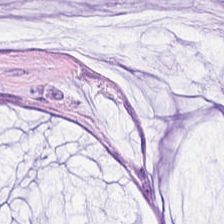Formalin-fixed paraffin-embedded section. H&E stain. 0.5 µm per pixel.
Predominantly mucus.
